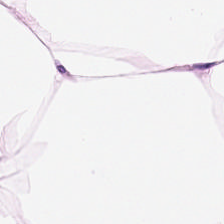H&E-stained tissue section · 224×224 px patch · 0.5 µm/px.
Predominantly adipose tissue.
